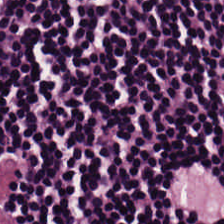H&E. 0.5 microns per pixel. Whole-slide-image patch — Tissue class = lymphocytic infiltrate.
